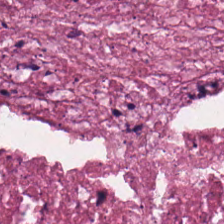H&E-stained tissue section — The predominant tissue is necrotic debris.
